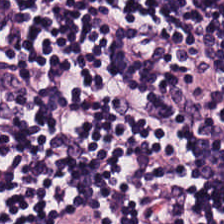H&E stain · FFPE. This patch shows lymphocytes.
